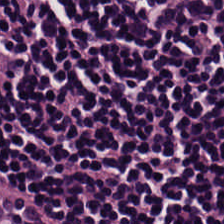224×224 pixel tile; H&E.
Histology → lymphocytic infiltrate.
